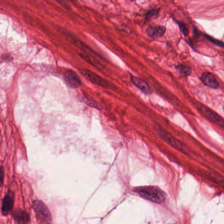H&E — Q: What does this patch show?
A: It is smooth-muscle tissue.
